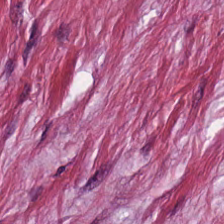Hematoxylin-and-eosin stained section. {"tissue_type": "cancer-associated stroma"}
